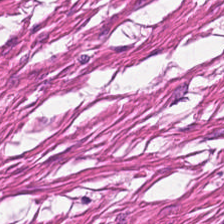Stain: H&E-stained tissue section.
Tile size: 224×224 pixel tile.
Classification: smooth muscle.
